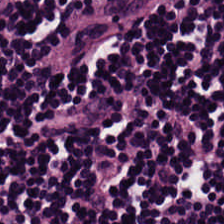Hematoxylin and eosin.
Predominantly lymphocytes.
